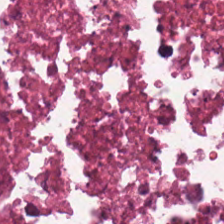H&E-stained tissue section. WSI patch. 224×224 px patch. Necrotic debris.
